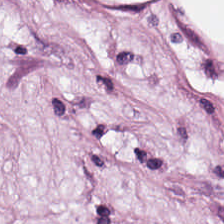H&E — Predominantly adipose tissue.
